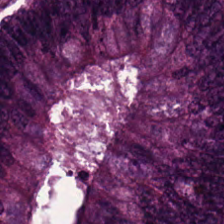Q: Identify the tissue.
A: The field shows tumor epithelium.
